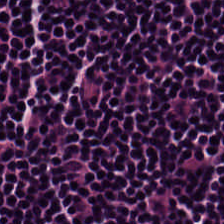Hematoxylin-and-eosin stained section. Showing lymphocytes.
